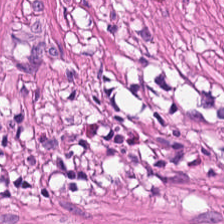The tissue type is smooth-muscle tissue.
